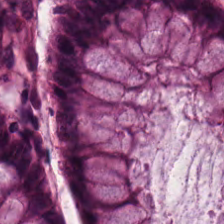20× equivalent magnification · FFPE tissue section · H&E stain — The predominant tissue is non-neoplastic colon mucosa.
